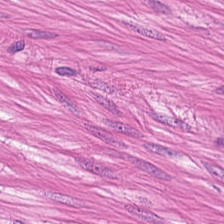Hematoxylin-and-eosin stained section · FFPE tissue section. Histology → smooth-muscle tissue.
